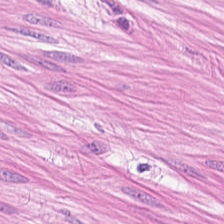H&E stain · 224×224 px patch — The predominant tissue is smooth muscle.
